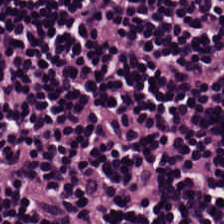H&E-stained tissue section. This patch shows lymphocytes.
